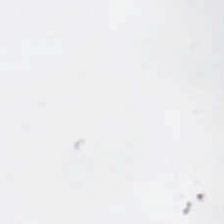H&E-stained tissue section.
Classification — background.
